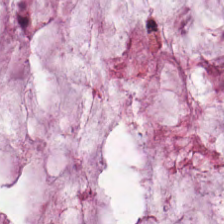Brightfield. 0.5 µm per pixel. H&E-stained tissue section — Impression → extracellular mucin.
